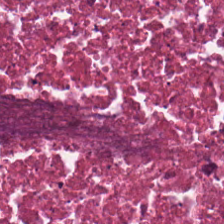Hematoxylin-and-eosin stained section; WSI patch; FFPE.
Classification: debris.
